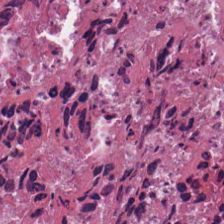224×224 px patch. 0.5 microns per pixel. H&E. Classification: debris.
